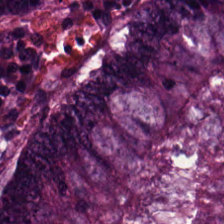H&E; WSI patch; 224×224 px patch.
Adenocarcinoma.
